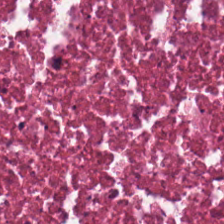Stain: hematoxylin-and-eosin stained section.
Tissue: necrotic debris.
